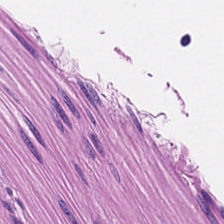Q: Identify the tissue.
A: This is muscularis.
